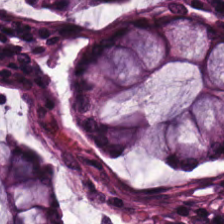H&E — Normal colon mucosa.
